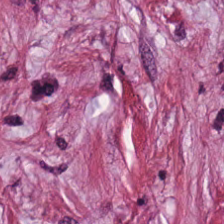Hematoxylin-and-eosin stained section — Q: What is the predominant tissue type?
A: It is desmoplastic stroma.
